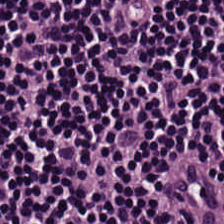Stain: hematoxylin and eosin.
Classification: lymphocytic infiltrate.
